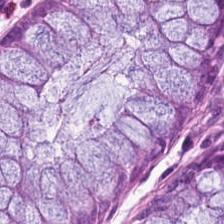H&E stain · 224×224 px patch.
This field is normal colonic mucosa.
